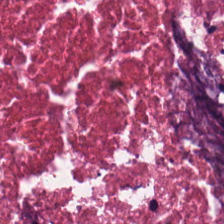H&E · whole-slide-image patch.
Necrotic debris.
